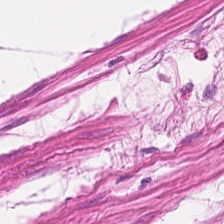H&E stain; FFPE.
Q: What is shown here?
A: The field shows smooth-muscle tissue.
